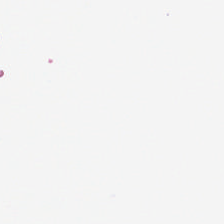Hematoxylin-and-eosin stained section. This field is background (no tissue).
